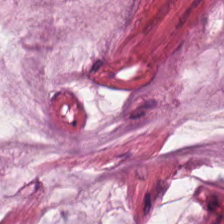Stain: H&E.
Tissue class: extracellular mucin.
